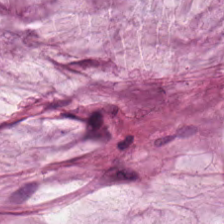H&E.
{"tissue_type": "extracellular mucin"}
